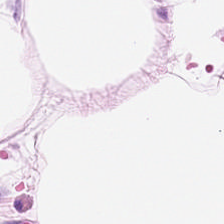Stain: H&E stain.
Tissue: fat tissue.
